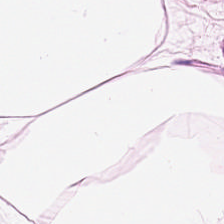H&E-stained tissue section.
Q: What does this patch show?
A: It is fat tissue.
